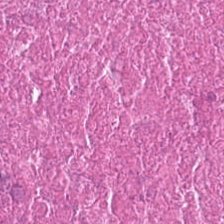{"tissue_type": "debris"}
